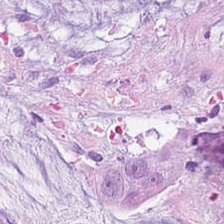Stain: H&E-stained tissue section.
Tissue type: mucus.
